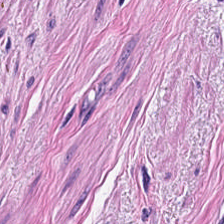0.5 µm per pixel; H&E-stained tissue section — Q: Classify this patch.
A: This is smooth-muscle tissue.
